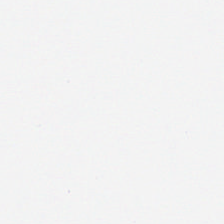H&E stain; 0.5 µm per pixel — Q: What is shown here?
A: Background (no tissue).
